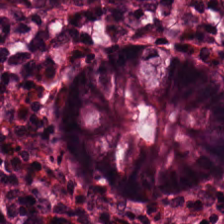Stain: H&E stain.
Preparation: FFPE tissue section.
Tile size: 224×224 px tile.
Tissue type: normal colonic mucosa.
